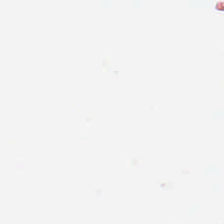H&E stain — Content = no tissue.
